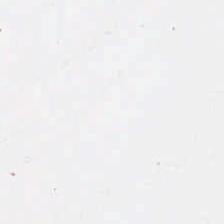FFPE tissue section. Hematoxylin and eosin. 0.5 µm/px — Q: What is shown in this field?
A: It is no tissue.
